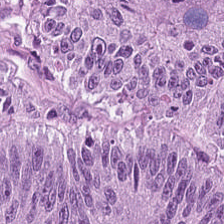Stain: H&E stain.
Tissue type: adenocarcinoma.
